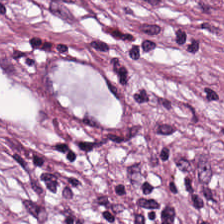Hematoxylin-and-eosin stained section. Brightfield microscopy. Q: What tissue is shown?
A: It is cancer-associated stroma.
